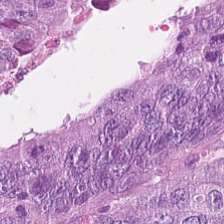H&E.
Showing colorectal adenocarcinoma epithelium.
